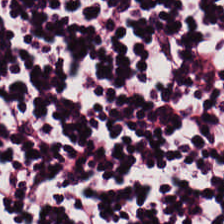Hematoxylin-and-eosin stained section — Classification = lymphocytic infiltrate.
